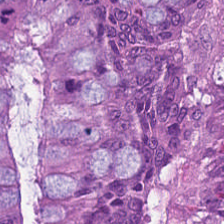H&E stain.
Classification: colorectal adenocarcinoma.
